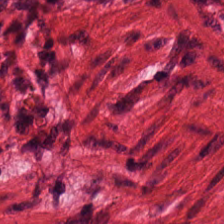H&E stain. 224×224 px patch — Q: What is the predominant tissue type?
A: Smooth-muscle tissue.
